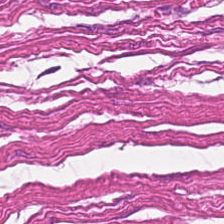H&E-stained tissue section. Tissue type — smooth-muscle tissue.
